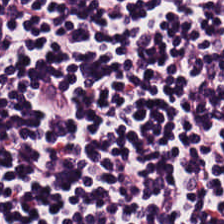H&E-stained tissue section; 0.5 µm/px. Finding — lymphoid infiltrate.
